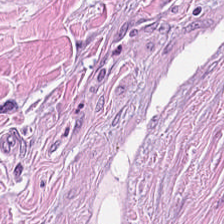H&E stain — Q: What does this patch show?
A: The field shows desmoplastic stroma.
